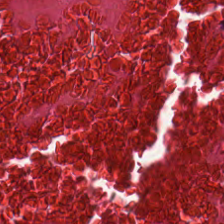Tissue — debris.
